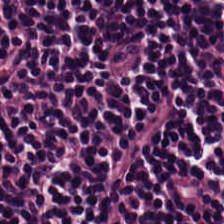H&E stain; 0.5 µm per pixel. This field is lymphoid infiltrate.
